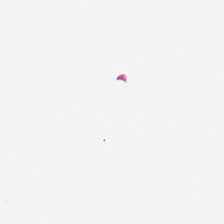H&E.
This patch shows empty background.
